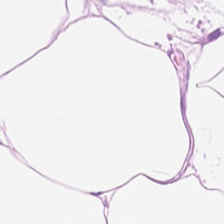Finding → adipocytes.
